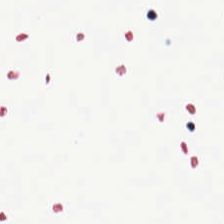H&E-stained tissue section. Classification — background (no tissue).
